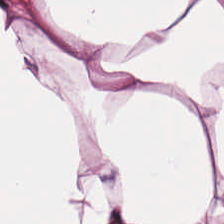224×224 px tile; FFPE; H&E stain. Fat tissue.
